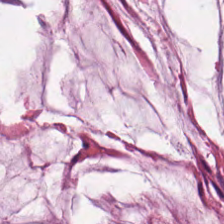The predominant tissue is mucin.
